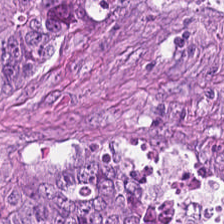Hematoxylin and eosin — Classification — colorectal adenocarcinoma epithelium.
